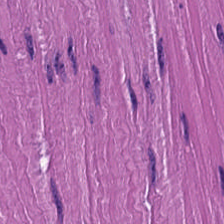H&E. The tissue type is smooth muscle.
